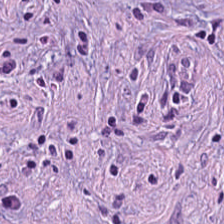Hematoxylin-and-eosin stained section. FFPE tissue section — Predominantly desmoplastic stroma.
